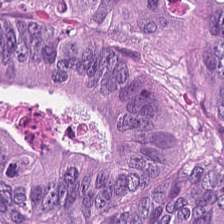Q: What does this patch show?
A: The field shows colorectal adenocarcinoma.
